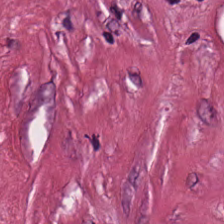This patch shows desmoplastic stroma.
